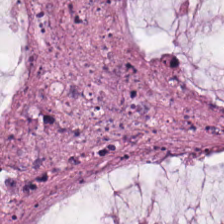FFPE tissue section; H&E stain; 224×224 pixel tile — Classification — extracellular mucin.
